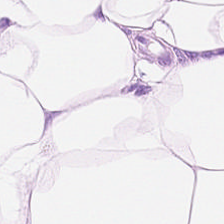Classification: fat tissue.
